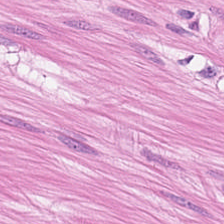{"tissue_type": "muscularis"}
